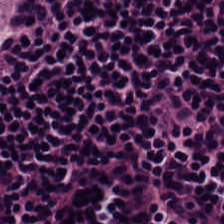Predominantly lymphocytic infiltrate.
